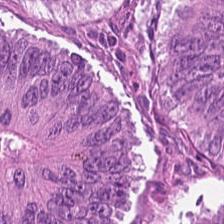Brightfield microscopy · 0.5 µm/px · H&E stain.
Predominant tissue = malignant epithelium.
